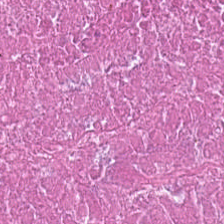H&E stain. 224×224 px patch. Tissue type: debris.
